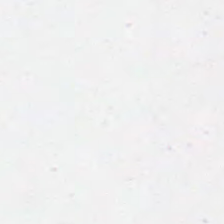Whole-slide-image patch · H&E.
{"content": "background"}
